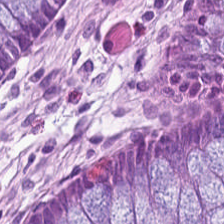Classification: benign colonic mucosa.
